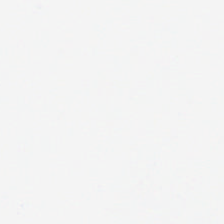FFPE tissue section. H&E-stained tissue section.
Content: background (no tissue).
